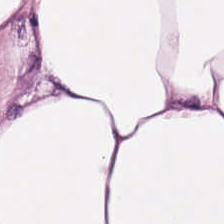Hematoxylin and eosin. Histology — fat tissue.
